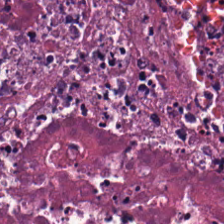H&E — The tissue here is cellular debris.
